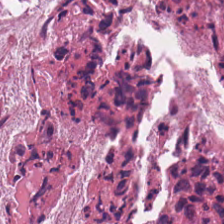Hematoxylin and eosin.
Cellular debris.
